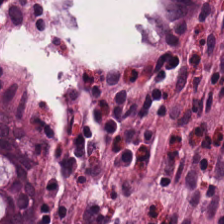224×224 pixel tile · H&E — The predominant tissue is benign colonic mucosa.
